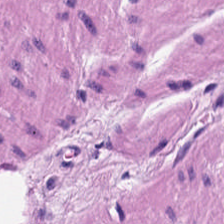Tissue — smooth-muscle tissue.
